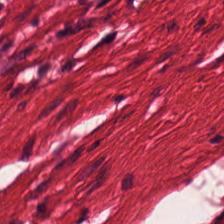Hematoxylin and eosin.
Q: What type of tissue is this?
A: Smooth-muscle tissue.
